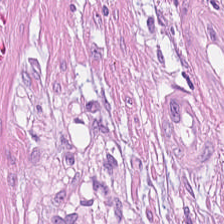224×224 px tile · H&E-stained tissue section · 0.5 microns per pixel — Finding → tumor-associated stroma.
